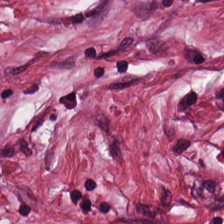H&E patch showing tumor stroma.
